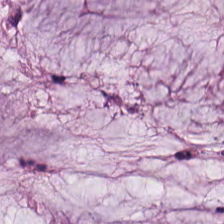H&E-stained tissue section. The tissue here is mucin.
